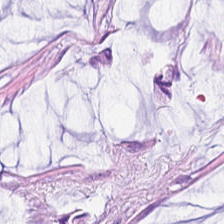Tissue type — extracellular mucin.
